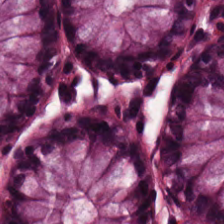Stain: H&E stain.
Acquisition: whole-slide-image patch.
Classification: benign colonic mucosa.
